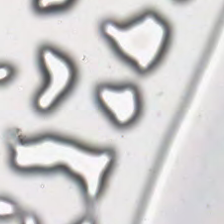H&E-stained tissue section — Background — no tissue in this field.
